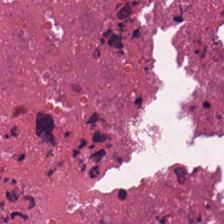H&E-stained tissue section. Q: What tissue type is shown here?
A: This is debris.
